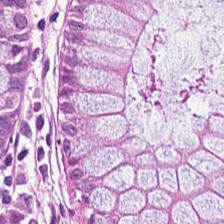0.5 µm/px; FFPE; hematoxylin-and-eosin stained section. This patch shows normal colonic mucosa.
